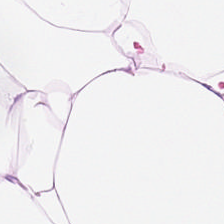H&E stain; formalin-fixed paraffin-embedded section — The tissue here is adipose.
